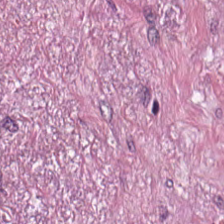Hematoxylin-and-eosin stained section. Histology → tumor-associated stroma.
